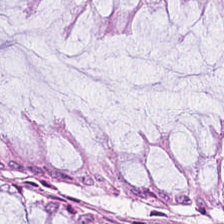H&E-stained tissue section · 224×224 pixel tile.
Tissue type — normal colon mucosa.
